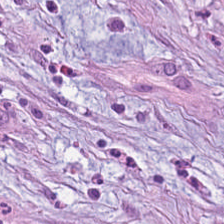Formalin-fixed paraffin-embedded section; H&E-stained tissue section; 224×224 pixel tile.
Finding → tumor-associated stroma.
